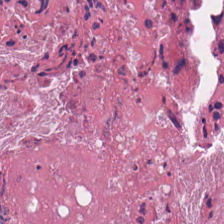H&E-stained tissue section. 224×224 px patch. 0.5 microns per pixel. Predominantly necrotic debris.
